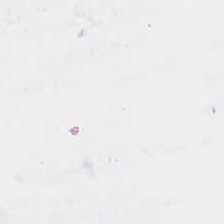Hematoxylin-and-eosin stained section — Impression → empty background.
